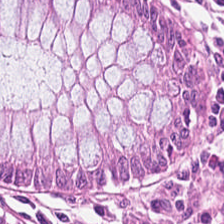224×224 px patch · H&E · FFPE — Finding — benign colonic mucosa.
